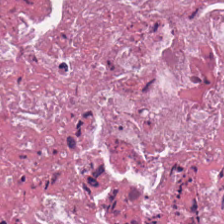H&E-stained tissue section — The tissue class is cellular debris.
